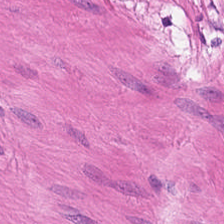Stain: hematoxylin and eosin.
Acquisition: WSI patch.
Tile size: 224×224 px tile.
Classification: smooth-muscle tissue.
